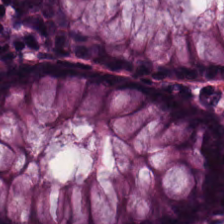H&E-stained tissue section. Normal colon mucosa.
